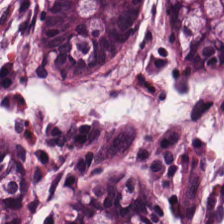Classification = non-neoplastic colon mucosa.
